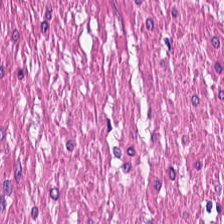H&E stain — Q: Identify the tissue.
A: The field shows muscularis.
